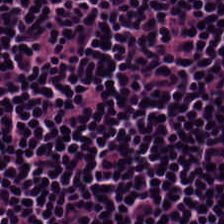Predominant tissue = lymphocytes.
